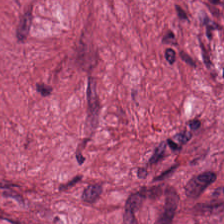Stain: H&E-stained tissue section.
Tissue class: cancer-associated stroma.
